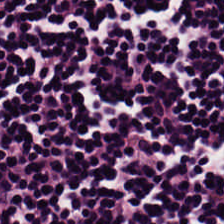H&E-stained tissue section. This patch shows lymphocyte aggregate.
